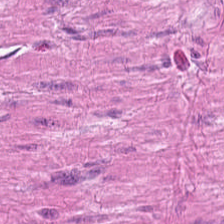H&E-stained tissue section.
Tissue — smooth muscle.
